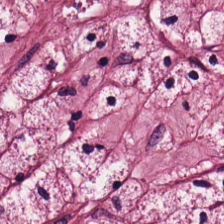Hematoxylin-and-eosin stained section.
Tissue: desmoplastic stroma.
